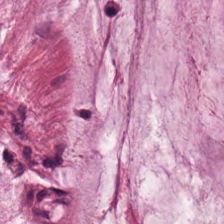Hematoxylin and eosin · FFPE tissue section · 20× equivalent magnification. Predominant tissue = mucin.
